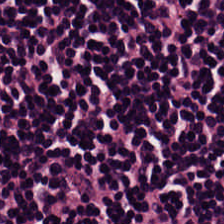Tissue — lymphocytic infiltrate.
